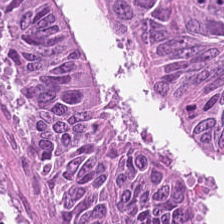H&E-stained tissue section · FFPE tissue section. Q: Classify this patch.
A: The field shows tumor epithelium.
